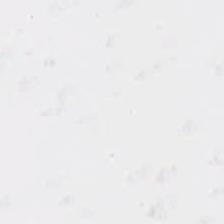Q: Classify this patch.
A: This is no tissue.
